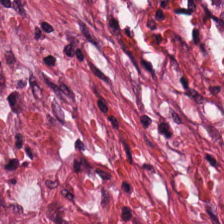0.5 µm/px · H&E stain. Q: What tissue is shown?
A: The field shows desmoplastic stroma.
